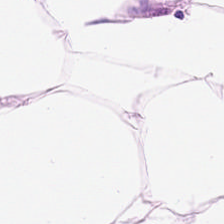Hematoxylin-and-eosin stained section. Showing adipose tissue.
